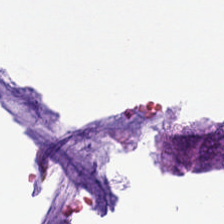H&E-stained tissue section; 224×224 px patch.
Q: Classify this patch.
A: The field shows empty background.
